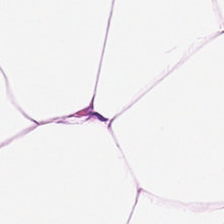H&E. 0.5 µm per pixel — Showing adipocytes.
